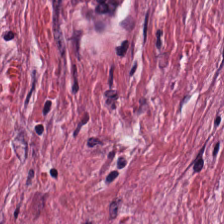H&E.
Tumor-associated stroma.
